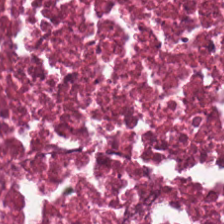Hematoxylin and eosin.
Histology → necrotic debris.
